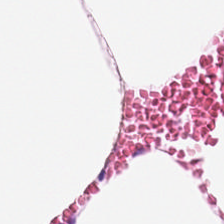H&E · 224×224 px patch.
Classification = fat tissue.
